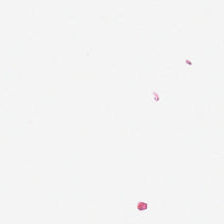Hematoxylin and eosin · FFPE · 224×224 px tile.
Classification — background (no tissue).
